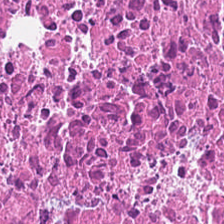Hematoxylin and eosin — Showing necrotic debris.
